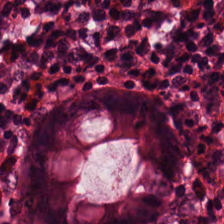H&E stain.
This field is benign colonic mucosa.
